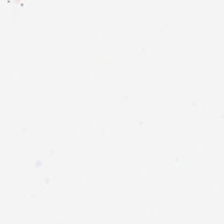H&E stain. Q: What does this patch show?
A: This is background.
